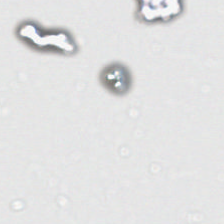0.5 µm/px; H&E-stained tissue section; brightfield.
This patch shows no tissue.
